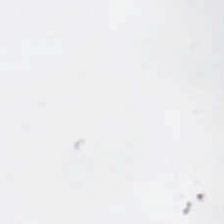224×224 px tile. Hematoxylin-and-eosin stained section — No tissue.
